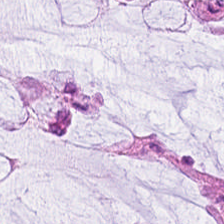The tissue here is non-neoplastic colon mucosa.
